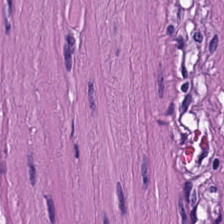Tissue: muscularis.
